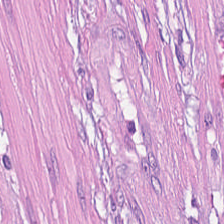{"tissue_type": "cancer-associated stroma"}
